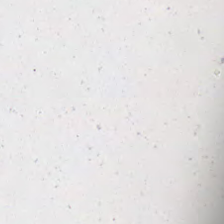WSI patch · hematoxylin-and-eosin stained section · 224×224 px tile.
Q: What is shown here?
A: Empty background.
